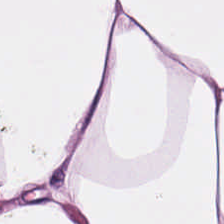H&E-stained tissue section · 0.5 µm per pixel.
The predominant tissue is adipocytes.
